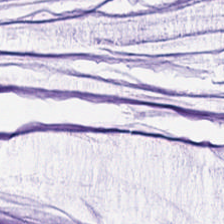Whole-slide-image patch; hematoxylin and eosin; FFPE.
This patch shows mucin.
